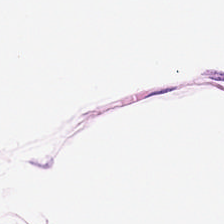224×224 px patch. H&E stain — Finding → adipocytes.
